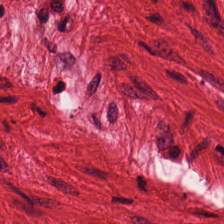0.5 microns per pixel · H&E-stained tissue section. The predominant tissue is smooth-muscle tissue.
